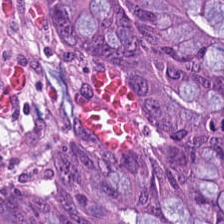H&E stain.
Q: What type of tissue is this?
A: This is colorectal adenocarcinoma epithelium.
